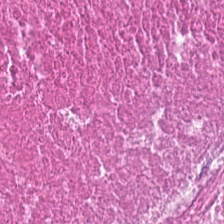Hematoxylin-and-eosin section: debris.
